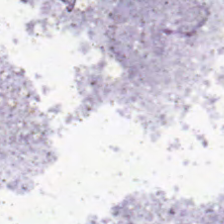H&E stain — {"content": "no tissue"}
